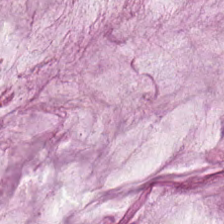Histology → mucus.
